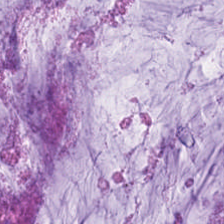Hematoxylin-and-eosin stained section; FFPE. The tissue type is mucin.
